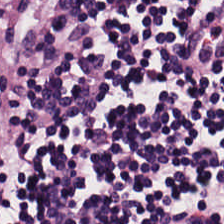H&E. Q: What tissue is shown?
A: Lymphocytes.
